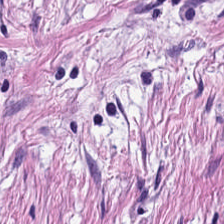The classification is desmoplastic stroma.
